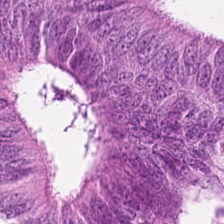H&E stain — This patch shows colorectal adenocarcinoma.
